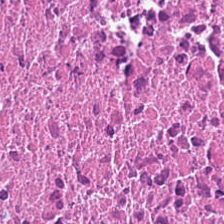FFPE tissue section. H&E stain — Q: What tissue type is shown here?
A: It is debris.
